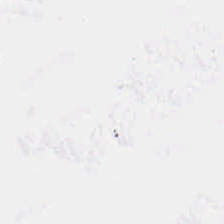Whole-slide-image patch · H&E — Impression — empty background.
